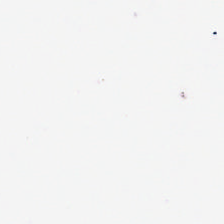H&E stain — Q: Classify this patch.
A: It is background.
